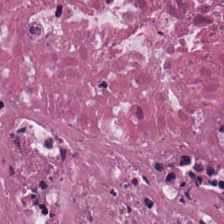224×224 px tile; H&E — Classification = debris.
